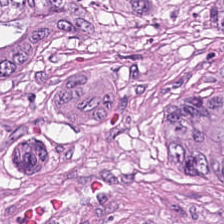H&E — This field is colorectal adenocarcinoma.
